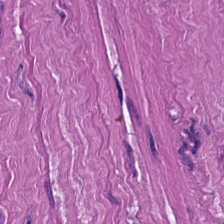H&E-stained tissue section · 224×224 pixel tile — This field is smooth muscle.
